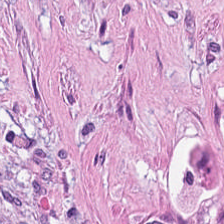H&E — Tissue type — tumor-associated stroma.
